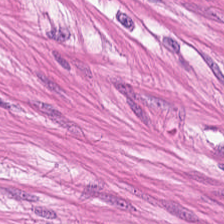Hematoxylin-and-eosin stained section. FFPE tissue section.
Smooth-muscle tissue.
